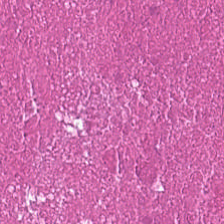H&E stain · brightfield · formalin-fixed paraffin-embedded section. Finding → necrotic debris.
